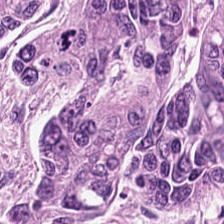The tissue here is colorectal adenocarcinoma.
